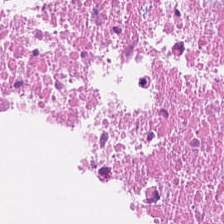H&E.
Q: Classify this patch.
A: The field shows debris.
